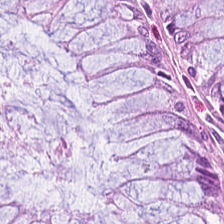Predominantly benign colonic mucosa.
